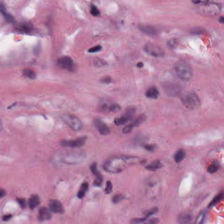H&E stain.
The tissue here is tumor-associated stroma.
